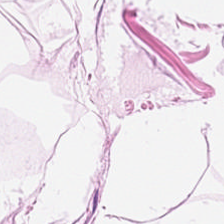Q: What tissue type is shown here?
A: It is adipocytes.
